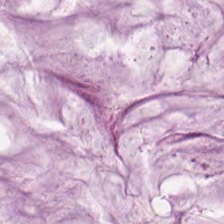Hematoxylin-and-eosin stained section.
Predominant tissue: mucus.
